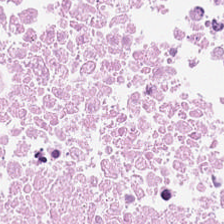The tissue here is necrotic debris.
